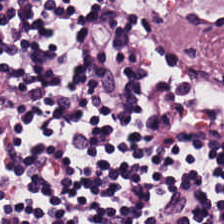Hematoxylin and eosin — The classification is lymphoid infiltrate.
